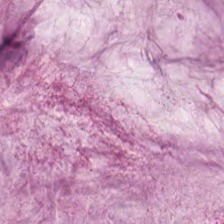H&E stain · 224×224 pixel tile.
Histology → mucus.
